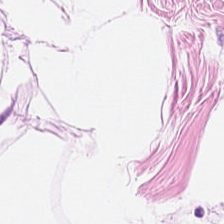Classification — fat tissue.
